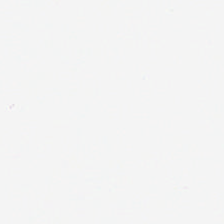Q: What is shown here?
A: It is background (no tissue).
